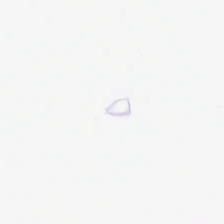The field content is background (no tissue).
